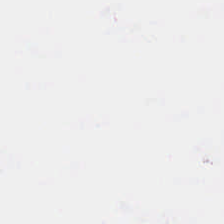Hematoxylin and eosin; FFPE. Q: What is shown in this field?
A: It is background (no tissue).
